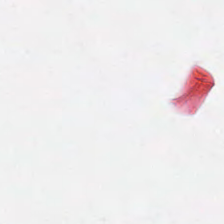H&E.
Field content = background (no tissue).
